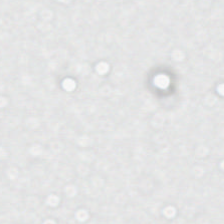FFPE; H&E-stained tissue section. Q: What does this patch show?
A: No tissue.
